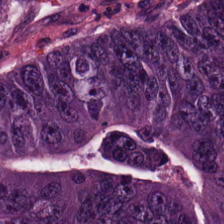Hematoxylin and eosin — Q: What tissue type is shown here?
A: This is malignant epithelium.
